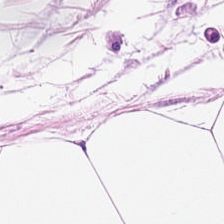0.5 microns per pixel; FFPE tissue section; H&E stain. {"tissue_type": "adipose"}
